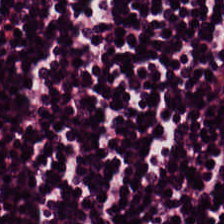Hematoxylin and eosin.
Tissue type = lymphoid infiltrate.
